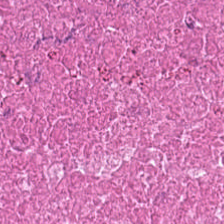{"tissue_type": "debris"}
